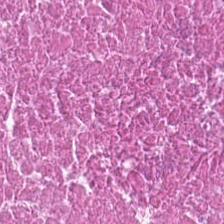The predominant tissue is cellular debris.
